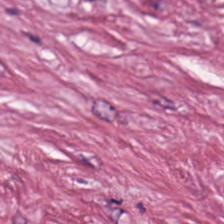Stain: H&E.
Tissue class: tumor-associated stroma.
